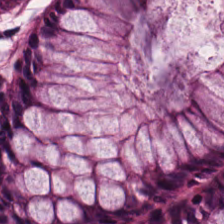Hematoxylin-and-eosin stained section — Histology → normal colonic mucosa.
